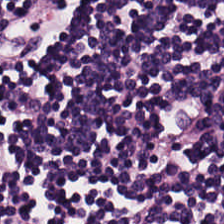0.5 microns per pixel; H&E-stained tissue section. The predominant tissue is lymphocytes.
